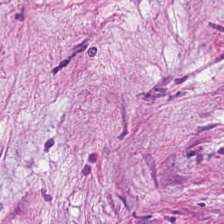H&E-stained tissue section — This patch shows desmoplastic stroma.
